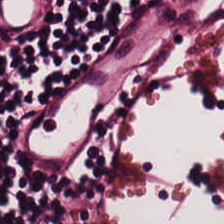H&E — The classification is lymphocytic infiltrate.
